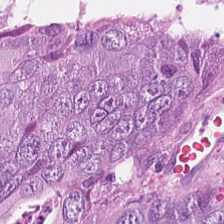The tissue type is colorectal adenocarcinoma epithelium.
